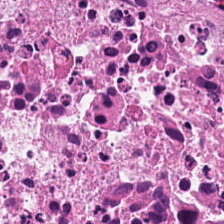0.5 µm/px; H&E stain. The predominant tissue is necrotic debris.
